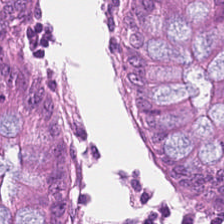Hematoxylin-and-eosin stained section; 224×224 px tile.
Showing normal colon mucosa.
